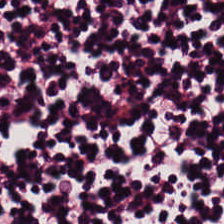20× equivalent magnification; H&E stain — The tissue here is lymphocyte aggregate.
